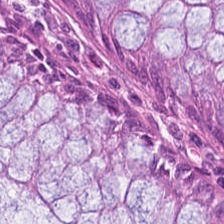Stain: H&E stain.
Preparation: formalin-fixed paraffin-embedded section.
Tissue class: normal colonic mucosa.
